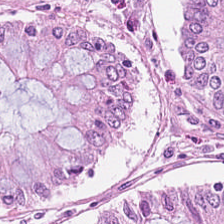The tissue type is benign colonic mucosa.
